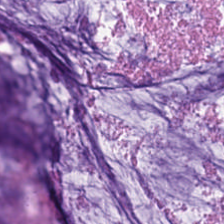Stain: H&E-stained tissue section.
Tissue type: extracellular mucin.
